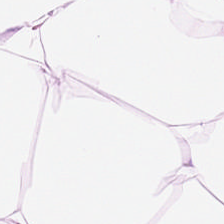Formalin-fixed paraffin-embedded section · H&E stain. {"tissue_type": "adipose"}
